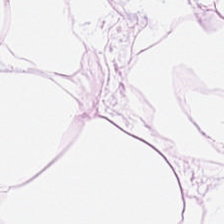224×224 px tile. H&E-stained tissue section. {"tissue_type": "adipose tissue"}
